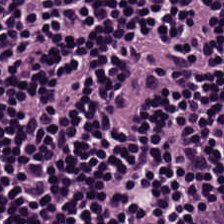H&E stain. WSI patch — Tissue = lymphoid infiltrate.
